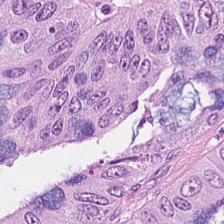The tissue type is adenocarcinoma.
